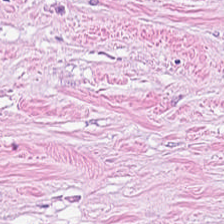H&E.
Classification = desmoplastic stroma.
